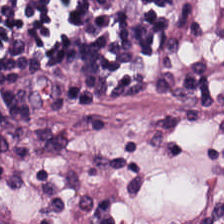H&E.
Q: What does this patch show?
A: The field shows lymphoid infiltrate.
